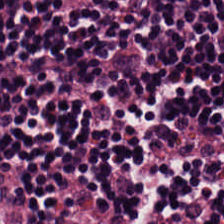Formalin-fixed paraffin-embedded section. H&E stain — The tissue here is lymphoid infiltrate.
